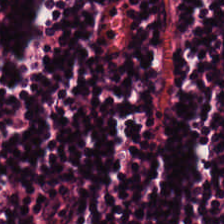Stain: H&E stain.
Tissue: lymphocytes.
